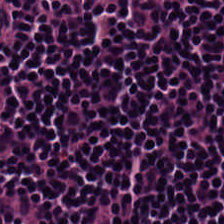Q: Classify this patch.
A: It is lymphocyte aggregate.
